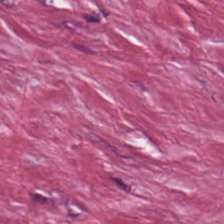H&E; FFPE. This patch shows tumor stroma.
